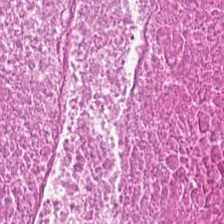Hematoxylin and eosin.
Cellular debris.
